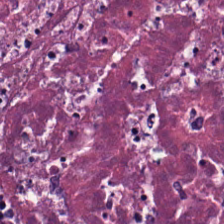The tissue here is debris.
